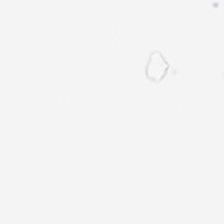FFPE; 224×224 px patch; hematoxylin-and-eosin stained section. This field is background (no tissue).
